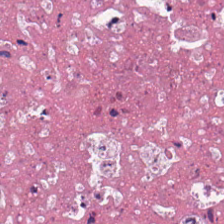20× equivalent magnification. Hematoxylin-and-eosin stained section. Histology → debris.
